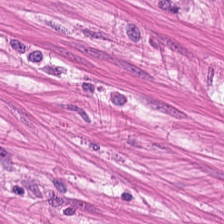Muscularis.
